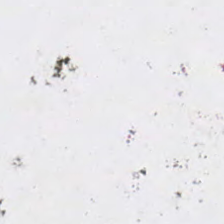Hematoxylin and eosin · 20× equivalent magnification — Finding → background (no tissue).
